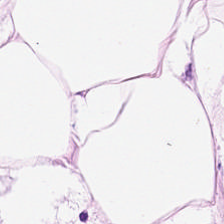H&E · FFPE — Showing adipose tissue.
